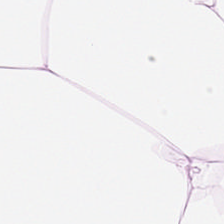H&E; FFPE; 0.5 µm/px.
The tissue is adipose tissue.
